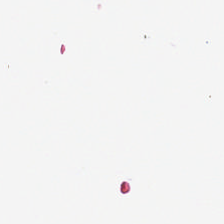H&E stain. Field content = no tissue.
